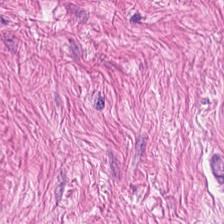H&E stain. The tissue is muscularis.
